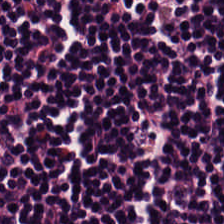Hematoxylin and eosin — Lymphocytes.
